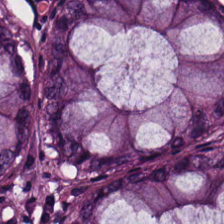Stain: H&E.
Predominant tissue: benign colonic mucosa.
